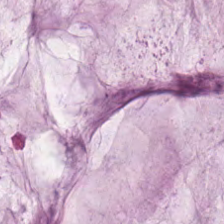Q: What tissue type is shown here?
A: Mucin.
